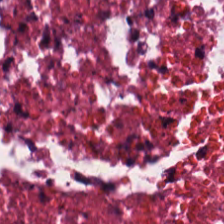Q: What is shown here?
A: The field shows cellular debris.
